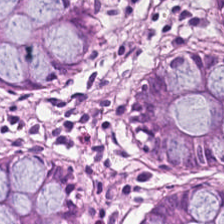Impression — non-neoplastic colon mucosa.
